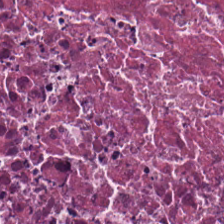Hematoxylin and eosin. FFPE — Necrotic debris.
